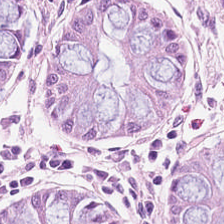H&E stain. Formalin-fixed paraffin-embedded section.
Showing non-neoplastic colon mucosa.
